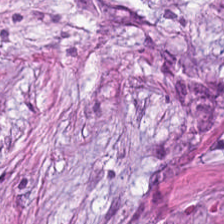Q: What is the predominant tissue type?
A: Cancer-associated stroma.
